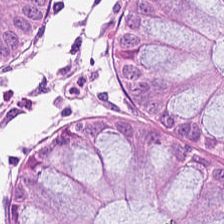H&E-stained tissue section — Showing non-neoplastic colon mucosa.
